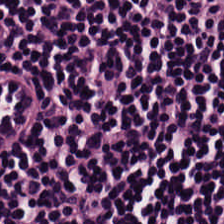Q: What is shown in this field?
A: The field shows lymphocyte aggregate.
